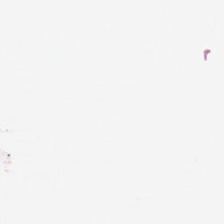Hematoxylin and eosin — Q: What is shown here?
A: The field shows background.
